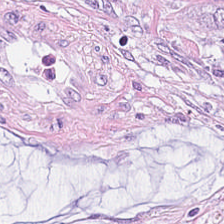Whole-slide-image patch; 224×224 px patch; hematoxylin and eosin.
Q: Identify the tissue.
A: This is mucin.
